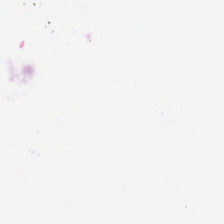224×224 px tile · H&E stain.
This field is background (no tissue).
